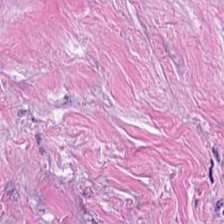H&E-stained tissue section · whole-slide-image patch · FFPE — Histology → tumor-associated stroma.
